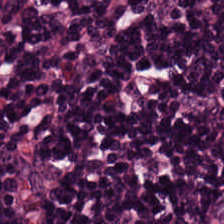H&E · 224×224 pixel tile.
The predominant tissue is lymphocytes.
